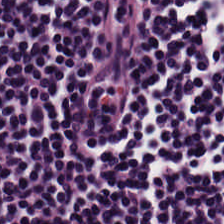H&E-stained tissue section · 224×224 px patch. Tissue type — lymphocytes.
